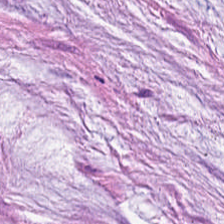Hematoxylin and eosin.
This field is mucin.
